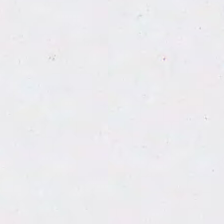Hematoxylin and eosin — No tissue.
